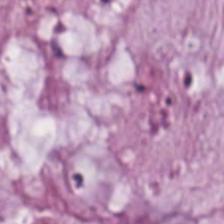H&E.
Tissue = mucin.
